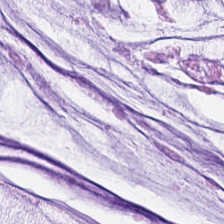H&E. This patch shows mucin.
